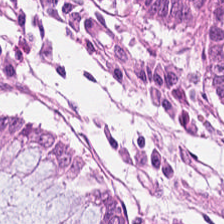H&E. 0.5 µm/px. {"tissue_type": "benign colonic mucosa"}
